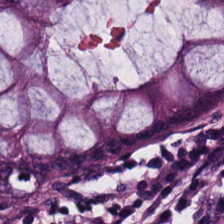Q: What tissue is shown?
A: It is normal colon mucosa.
